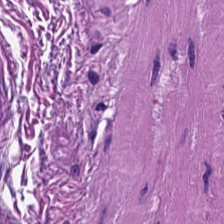H&E-stained tissue section. Formalin-fixed paraffin-embedded section. Predominantly muscularis.
